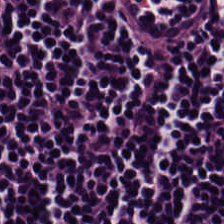Predominant tissue: lymphocytes.
